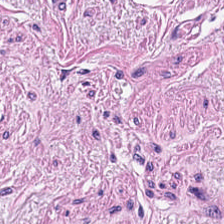Hematoxylin-and-eosin stained section. Histology — muscularis.
